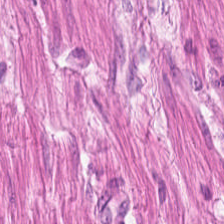This field is smooth-muscle tissue.
